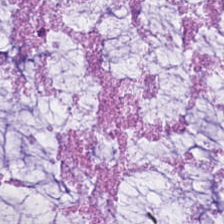Stain: hematoxylin-and-eosin stained section.
Predominant tissue: extracellular mucin.
